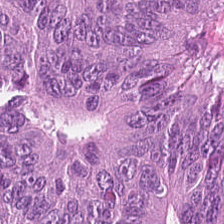The classification is colorectal adenocarcinoma.
